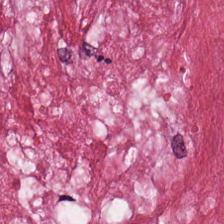H&E. FFPE. Histology — cancer-associated stroma.
